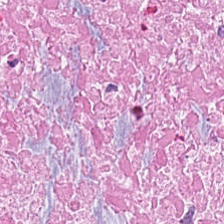Hematoxylin-and-eosin stained section.
Tissue = cellular debris.
